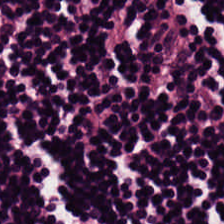Hematoxylin-and-eosin stained section · FFPE. The predominant tissue is lymphocytic infiltrate.
